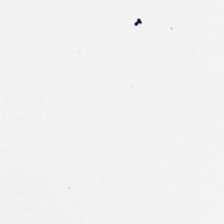H&E — Background.
